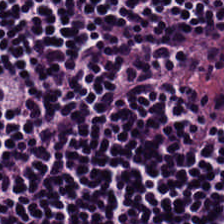Formalin-fixed paraffin-embedded section; H&E-stained tissue section. Showing lymphocytic infiltrate.
